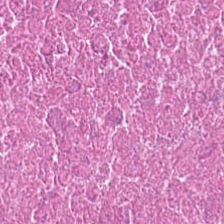Classification: necrotic debris.
